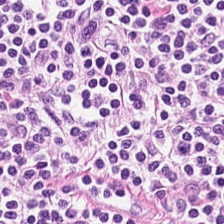H&E-stained tissue section — Impression → lymphocytic infiltrate.
